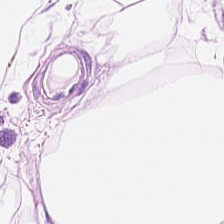H&E. Formalin-fixed paraffin-embedded section.
Tissue — fat tissue.
